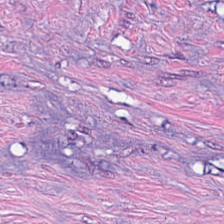Q: What is shown here?
A: Cancer-associated stroma.
